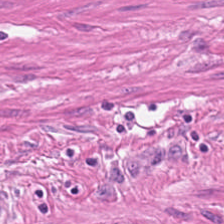Hematoxylin and eosin. Showing smooth muscle.
